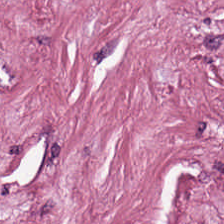20× equivalent magnification. Hematoxylin and eosin. 224×224 px tile. Showing tumor stroma.
